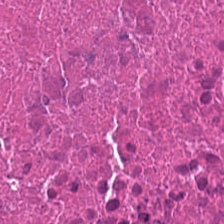Hematoxylin-and-eosin stained section.
The predominant tissue is necrotic debris.
